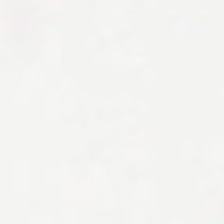Background.
